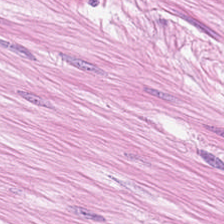Hematoxylin-and-eosin stained section. 224×224 pixel tile.
Histology — smooth-muscle tissue.
